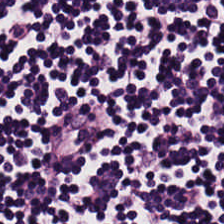Tissue = lymphoid infiltrate.
